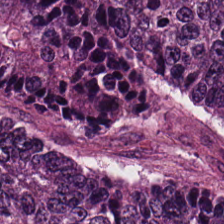H&E stain; FFPE. The tissue here is tumor epithelium.
